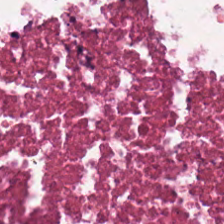Impression — necrotic debris.
